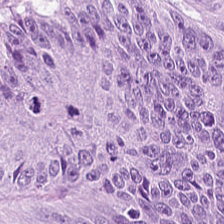Whole-slide-image patch. Hematoxylin and eosin. 224×224 pixel tile.
Q: What tissue is shown?
A: The field shows malignant epithelium.
